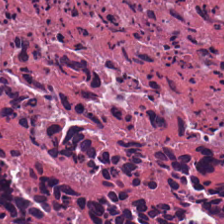0.5 microns per pixel; brightfield microscopy; H&E-stained tissue section — The predominant tissue is debris.
